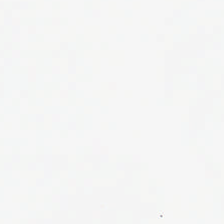Hematoxylin and eosin.
Q: What is shown in this field?
A: The field shows empty background.
